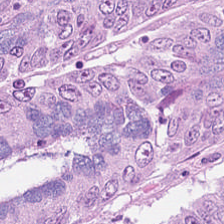Stain: H&E stain.
Tissue type: malignant epithelium.
